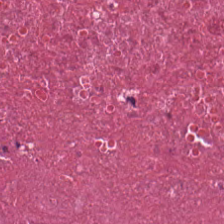Hematoxylin-and-eosin stained section · 20× equivalent magnification — Tissue type: debris.
